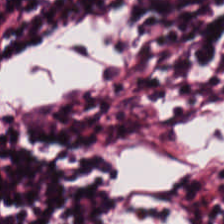Hematoxylin and eosin. FFPE. 224×224 px tile. Q: What tissue is shown?
A: The field shows lymphocytes.
